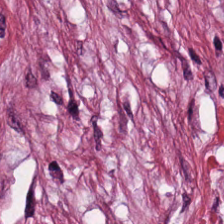Hematoxylin-and-eosin stained section.
Desmoplastic stroma.
